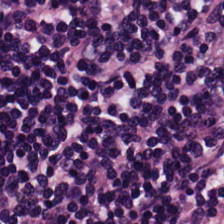H&E · brightfield microscopy. {"tissue_type": "lymphocytes"}
